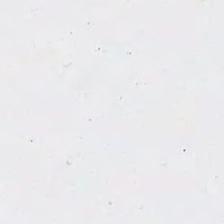No tissue present; background only.
